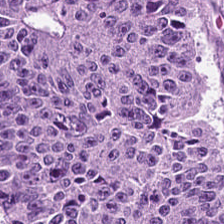H&E stain. Brightfield microscopy. This patch shows tumor epithelium.
